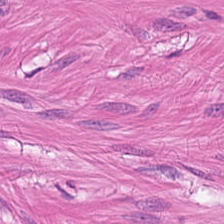H&E stain. Showing smooth muscle.
